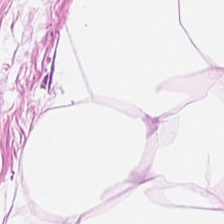Hematoxylin-and-eosin stained section.
This patch shows adipose tissue.
